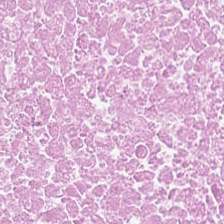Q: What does this patch show?
A: It is necrotic debris.
